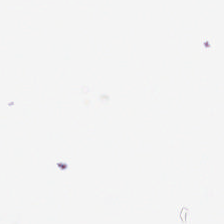H&E stain; brightfield microscopy; 224×224 px tile.
Q: Classify this patch.
A: It is background.
